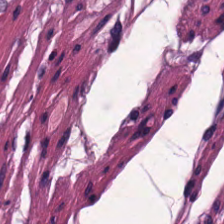H&E stain — Q: What is shown in this field?
A: This is smooth muscle.
